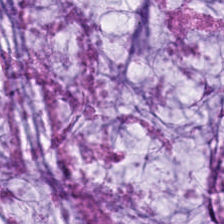Hematoxylin and eosin. Q: What is shown in this field?
A: The field shows extracellular mucin.
